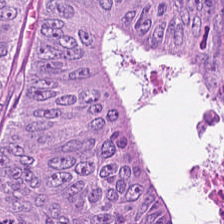H&E — The tissue here is colorectal adenocarcinoma.
